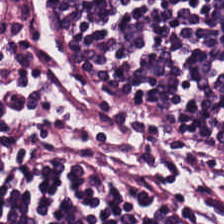H&E — The tissue here is lymphoid infiltrate.
